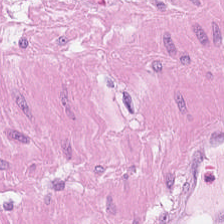Hematoxylin-and-eosin stained section. FFPE tissue section. Brightfield.
{"tissue_type": "smooth-muscle tissue"}
